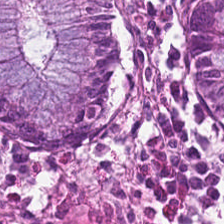Hematoxylin and eosin — The predominant tissue is normal colon mucosa.
